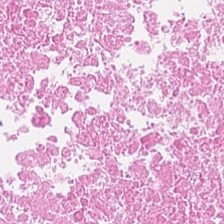0.5 microns per pixel · H&E-stained tissue section.
Classification: necrotic debris.
